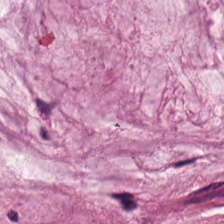Classification: mucus.
